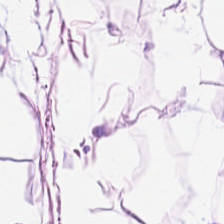H&E.
The predominant tissue is fat tissue.
